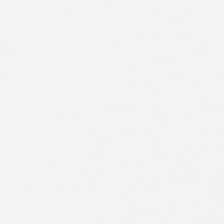H&E stain — Q: Classify this patch.
A: This is no tissue.
